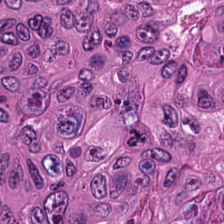Hematoxylin-and-eosin stained section — Histology — malignant epithelium.
